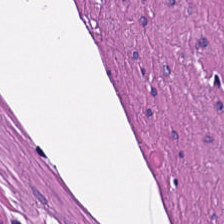The tissue class is muscularis.
